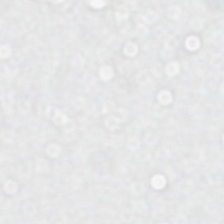H&E stain. Classification — background.
